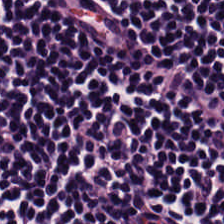224×224 px tile. H&E-stained tissue section.
Predominant tissue = lymphoid infiltrate.
